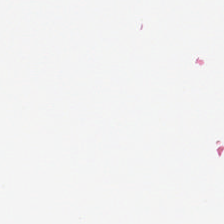Q: What is shown here?
A: The field shows no tissue.
